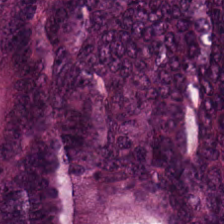0.5 microns per pixel. H&E.
The predominant tissue is adenocarcinoma.
